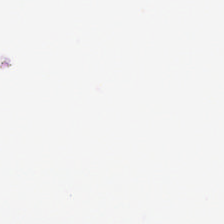Q: What is shown in this field?
A: No tissue.
